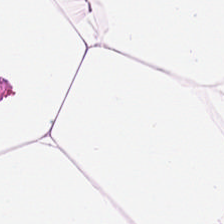H&E-stained tissue section — Q: Identify the tissue.
A: Adipocytes.
